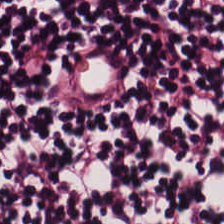Hematoxylin-and-eosin stained section; brightfield; 0.5 microns per pixel.
{"tissue_type": "lymphocytes"}
